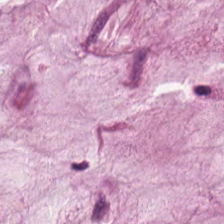Stain: H&E-stained tissue section.
Tile size: 224×224 pixel tile.
Acquisition: brightfield microscopy.
Tissue type: extracellular mucin.
